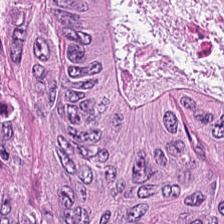The tissue class is tumor epithelium.
